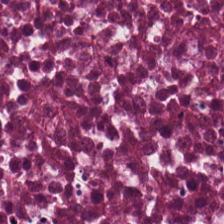224×224 px patch · H&E-stained tissue section.
Tissue = cellular debris.
